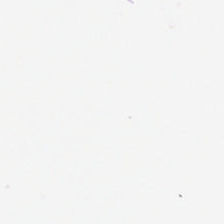H&E-stained tissue section.
The field content is background.
